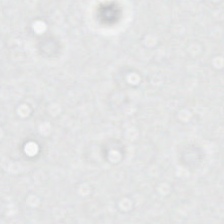224×224 px patch · hematoxylin and eosin — Background — no tissue in this field.
